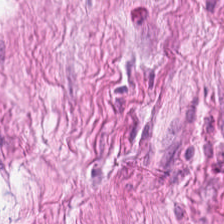Whole-slide-image patch. H&E — Smooth-muscle tissue.
